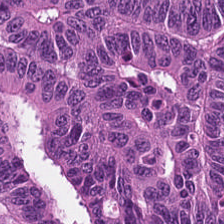{"tissue_type": "tumor epithelium"}
